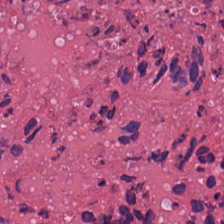H&E stain.
Debris.
